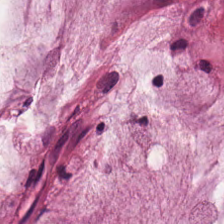Stain: H&E stain.
Acquisition: brightfield.
Tissue: mucus.
